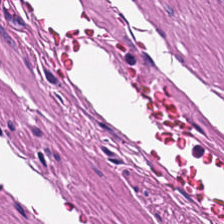Finding → muscularis.
